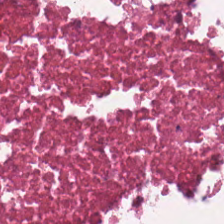Hematoxylin and eosin.
{"tissue_type": "cellular debris"}
